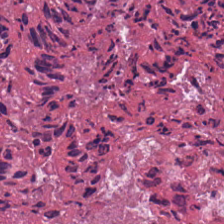Hematoxylin-and-eosin stained section — Cellular debris.
